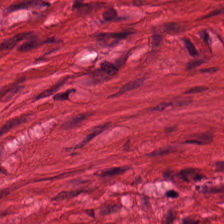224×224 pixel tile · H&E.
Tissue type: smooth muscle.
